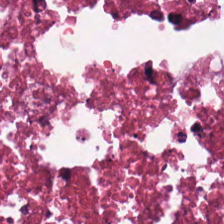FFPE. 224×224 pixel tile. Hematoxylin-and-eosin stained section.
Predominant tissue = cellular debris.
